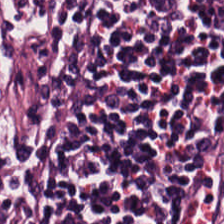224×224 pixel tile; hematoxylin and eosin.
Showing lymphocytes.
